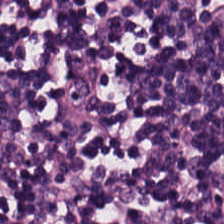H&E-stained tissue section showing lymphocytic infiltrate.
